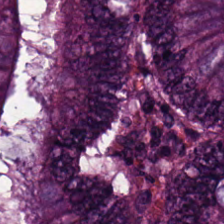H&E stain. Tissue type = tumor epithelium.
